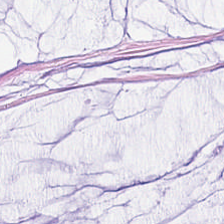0.5 µm/px · FFPE tissue section · hematoxylin-and-eosin stained section — The tissue class is mucus.
